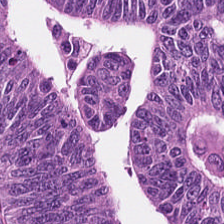H&E stain — The predominant tissue is colorectal adenocarcinoma epithelium.
